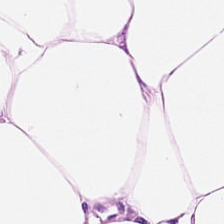224×224 px tile. Hematoxylin and eosin. FFPE tissue section — {"tissue_type": "adipose tissue"}
